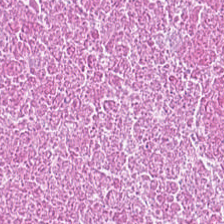Tissue class = cellular debris.
